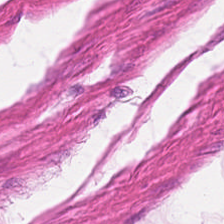Hematoxylin and eosin — Muscularis.
